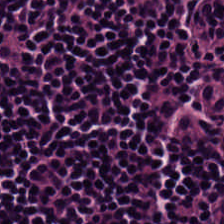Hematoxylin-and-eosin stained section — Q: What is the predominant tissue type?
A: This is lymphocytes.
